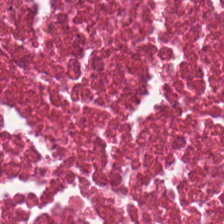H&E-stained tissue section. Q: Classify this patch.
A: Debris.
